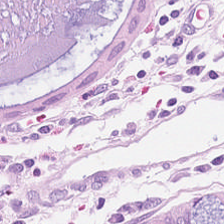0.5 µm per pixel. Hematoxylin-and-eosin stained section. WSI patch. Impression → benign colonic mucosa.
